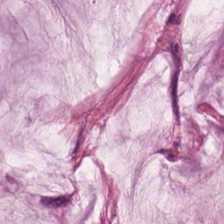Stain: H&E stain.
Acquisition: brightfield microscopy.
Preparation: FFPE tissue section.
Predominant tissue: mucus.
